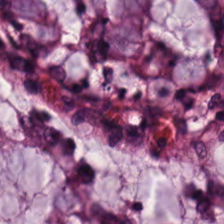Stain: H&E.
Tissue type: non-neoplastic colon mucosa.
